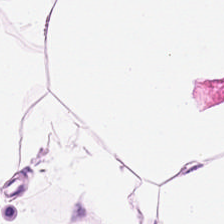Hematoxylin-and-eosin stained section — Classification = adipose.
